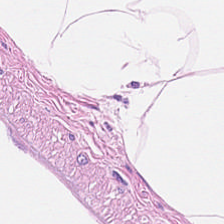H&E stain; 224×224 px patch — Tissue — fat tissue.
